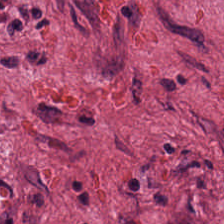Impression → cancer-associated stroma.
